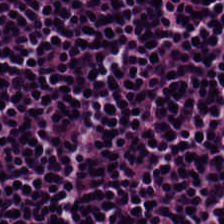Tissue = lymphocyte aggregate.
